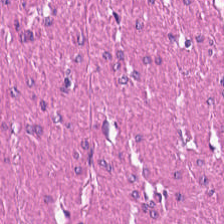H&E.
Showing smooth-muscle tissue.
